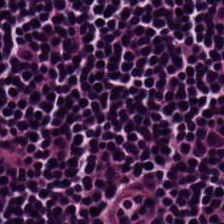Brightfield microscopy. 0.5 microns per pixel. Hematoxylin and eosin.
Q: What tissue is shown?
A: The field shows lymphocytes.
